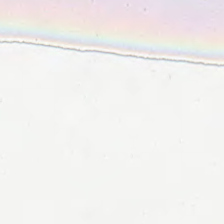Stain: H&E stain.
Content: no tissue.
